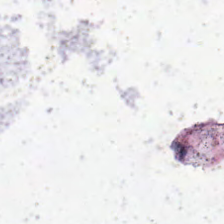H&E stain.
Q: What does this patch show?
A: No tissue.
